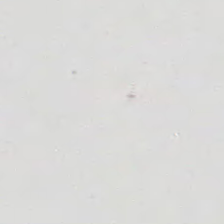H&E-stained tissue section. 224×224 px patch.
Content — background (no tissue).
